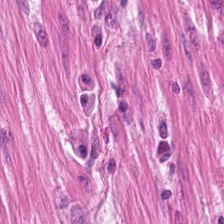H&E. The tissue class is muscularis.
